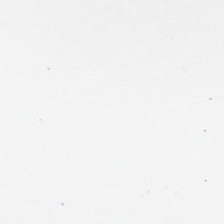No tissue present; background only.
